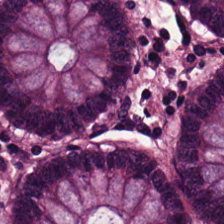Stain: hematoxylin-and-eosin stained section.
Preparation: formalin-fixed paraffin-embedded section.
Classification: normal colonic mucosa.
